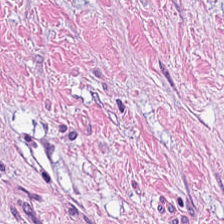Showing tumor-associated stroma.
